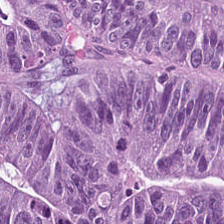Whole-slide-image patch · H&E stain — The tissue here is malignant epithelium.
